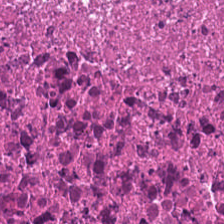Q: Classify this patch.
A: Necrotic debris.
